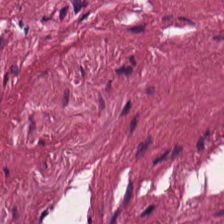H&E-stained tissue section — Tissue class — desmoplastic stroma.
